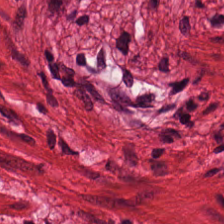H&E-stained tissue section · formalin-fixed paraffin-embedded section · 0.5 µm/px. Q: Classify this patch.
A: It is muscularis.
